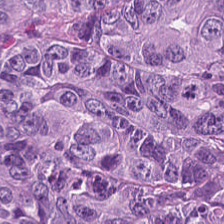Q: What tissue type is shown here?
A: It is malignant epithelium.
